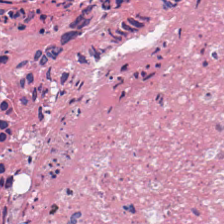H&E-stained tissue section. {"tissue_type": "cellular debris"}
